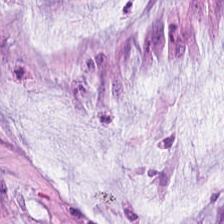Hematoxylin and eosin — Q: What tissue type is shown here?
A: This is extracellular mucin.
